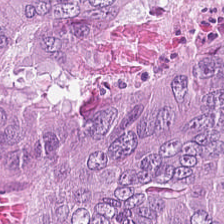Showing adenocarcinoma.
